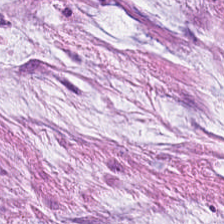Hematoxylin and eosin — Impression — mucin.
